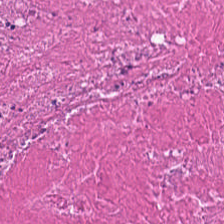H&E-stained tissue section.
Q: What is the predominant tissue type?
A: This is cellular debris.
